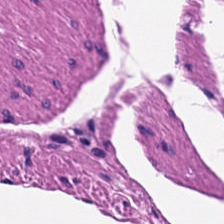Hematoxylin-and-eosin stained section — Smooth-muscle tissue.
